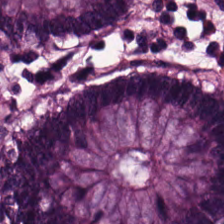Benign colonic mucosa.
